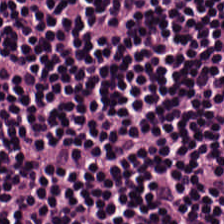H&E. The tissue type is lymphocyte aggregate.
